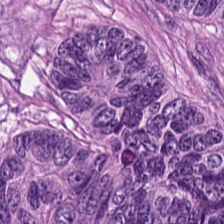FFPE · H&E stain. The tissue type is colorectal adenocarcinoma.
